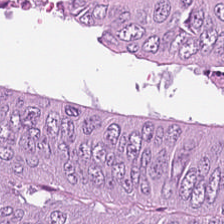WSI patch; hematoxylin-and-eosin stained section.
Classification — colorectal adenocarcinoma.
